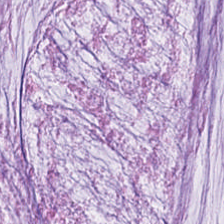Tissue — extracellular mucin.
